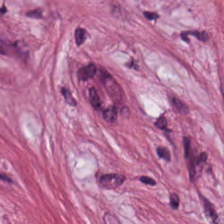Stain: H&E.
Predominant tissue: cancer-associated stroma.
